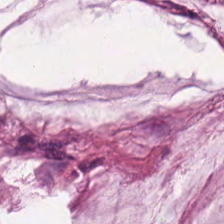FFPE tissue section. H&E stain. {"tissue_type": "extracellular mucin"}
